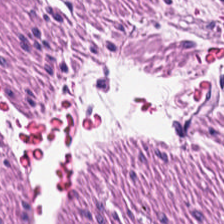Hematoxylin-and-eosin stained section. 224×224 px tile — Showing smooth muscle.
